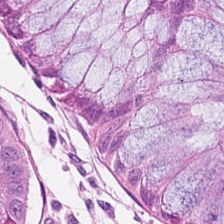0.5 microns per pixel · hematoxylin and eosin.
Predominant tissue = non-neoplastic colon mucosa.
